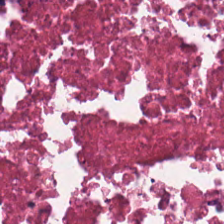Predominant tissue — debris.
